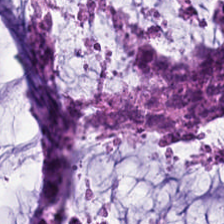H&E stain. Q: Classify this patch.
A: Mucin.
